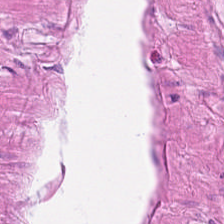Hematoxylin-and-eosin stained section. Finding — smooth muscle.
